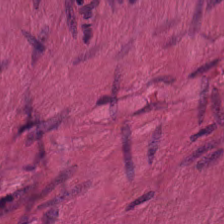224×224 px patch. H&E stain. FFPE — Muscularis.
